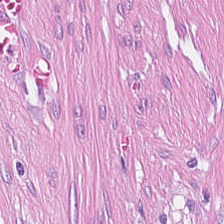FFPE tissue section · hematoxylin and eosin. Finding → desmoplastic stroma.
